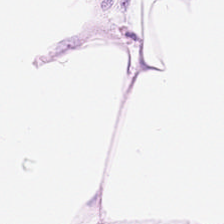Adipose.
